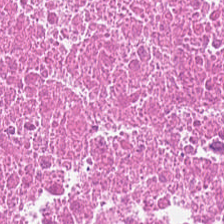H&E stain. The predominant tissue is cellular debris.
